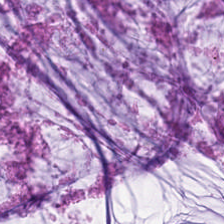20× equivalent magnification · hematoxylin and eosin.
Predominantly extracellular mucin.
